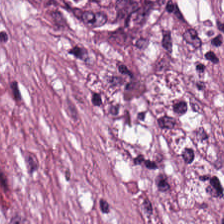H&E stain.
Tissue class: tumor-associated stroma.
